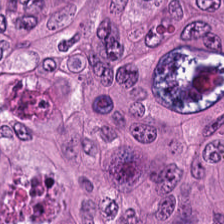0.5 µm/px · H&E stain.
This field is tumor epithelium.
